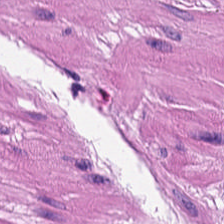Stain: H&E stain.
Resolution: 0.5 µm per pixel.
Tissue: smooth-muscle tissue.
